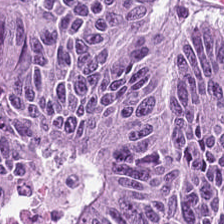Q: What tissue type is shown here?
A: Tumor epithelium.
